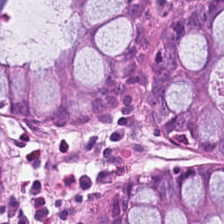H&E stain. Finding → normal colonic mucosa.
